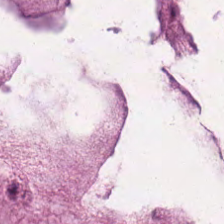Stain: H&E stain.
Resolution: 20× equivalent magnification.
Classification: extracellular mucin.
